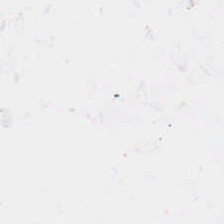Background (no tissue).
